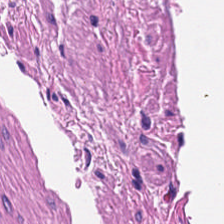H&E stain. This patch shows smooth muscle.
